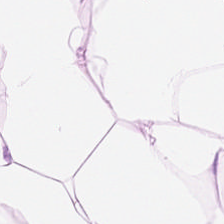Q: Classify this patch.
A: Fat tissue.
